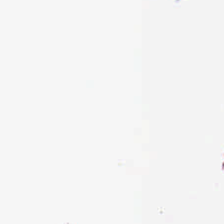Hematoxylin-and-eosin stained section. Background.
